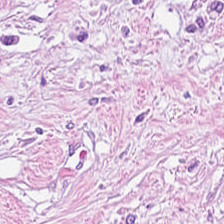Stain: H&E stain.
Tissue class: desmoplastic stroma.
